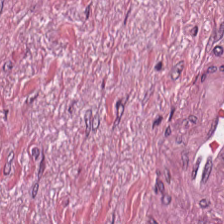Stain: hematoxylin and eosin.
Predominant tissue: cancer-associated stroma.
